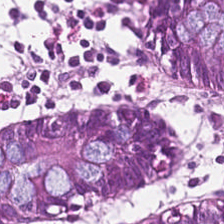H&E patch showing non-neoplastic colon mucosa.
